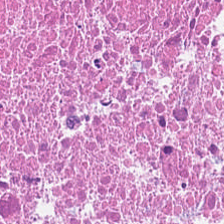FFPE tissue section. H&E-stained tissue section. This field is cellular debris.
